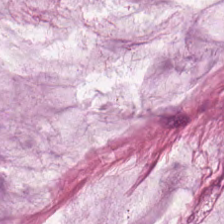Stain: H&E stain.
Acquisition: brightfield microscopy.
Predominant tissue: mucus.
